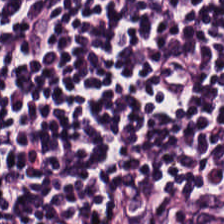H&E. Impression → lymphoid infiltrate.
